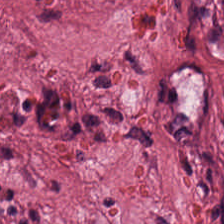H&E-stained tissue section; FFPE tissue section; whole-slide-image patch. Predominantly tumor stroma.
